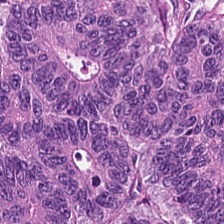Hematoxylin and eosin — This patch shows tumor epithelium.
